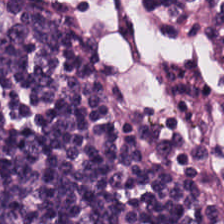20× equivalent magnification; hematoxylin-and-eosin stained section. Tissue class: lymphocytes.
